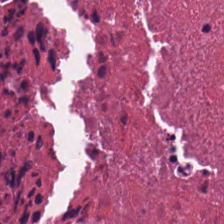Formalin-fixed paraffin-embedded section. Hematoxylin-and-eosin stained section. Finding — cellular debris.
